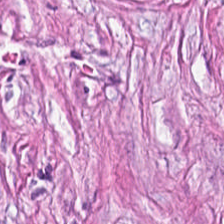H&E-stained tissue section. 0.5 microns per pixel. Q: What is shown here?
A: This is tumor-associated stroma.
